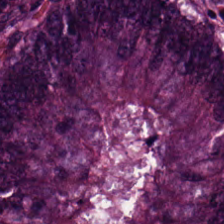H&E stain. This patch shows tumor epithelium.
